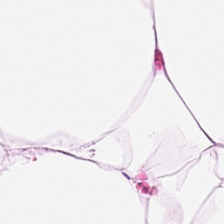Hematoxylin-and-eosin stained section.
Q: What tissue is shown?
A: Adipose tissue.
